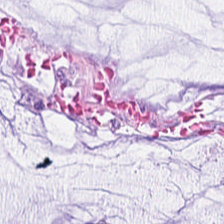Hematoxylin and eosin · 0.5 µm/px — The predominant tissue is extracellular mucin.
